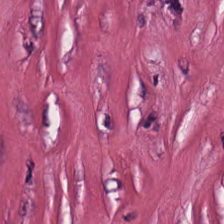H&E. FFPE tissue section. 20× equivalent magnification — {"tissue_type": "cancer-associated stroma"}
